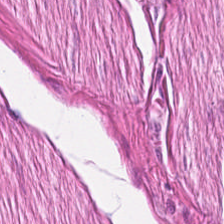Histology — smooth-muscle tissue.
